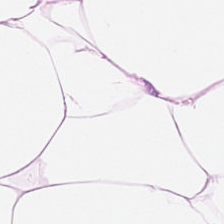Hematoxylin and eosin — This patch shows adipose tissue.
